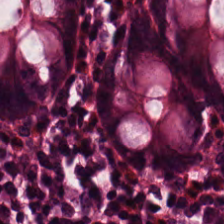FFPE · H&E.
The tissue here is non-neoplastic colon mucosa.
